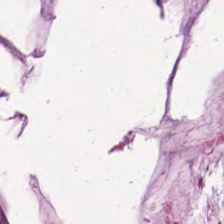Tissue type = mucus.
